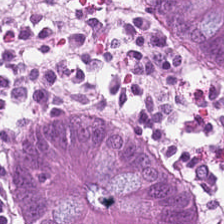Stain: H&E-stained tissue section.
Resolution: 0.5 microns per pixel.
Classification: benign colonic mucosa.
